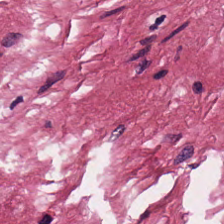H&E-stained tissue section showing tumor-associated stroma.
